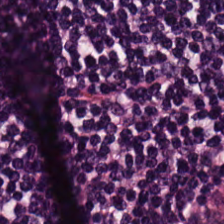Hematoxylin and eosin. 0.5 microns per pixel.
Histology — lymphocyte aggregate.
